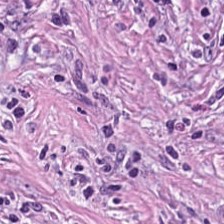This patch shows desmoplastic stroma.
